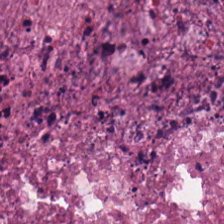H&E-stained tissue section; 224×224 px tile; FFPE — Classification: debris.
